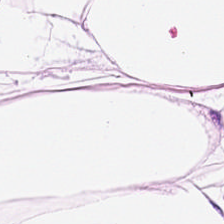H&E stain. Histology — fat tissue.
